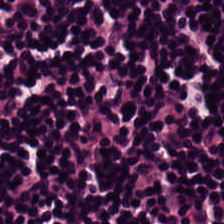Hematoxylin and eosin · 0.5 µm/px · 224×224 pixel tile — The predominant tissue is lymphocyte aggregate.
